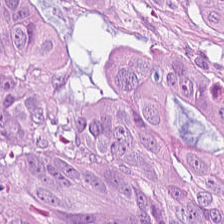Brightfield · FFPE tissue section · H&E-stained tissue section — {"tissue_type": "malignant epithelium"}
